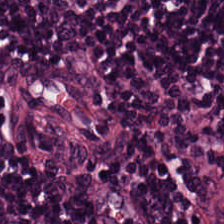This patch shows lymphoid infiltrate.
